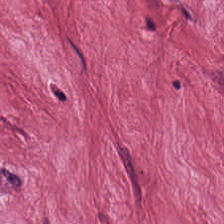224×224 pixel tile · H&E-stained tissue section. Tissue type = tumor stroma.
